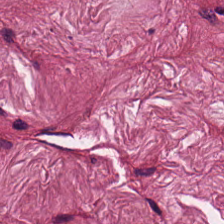Showing tumor-associated stroma.
